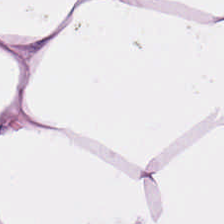224×224 px patch. Hematoxylin-and-eosin stained section — Tissue = fat tissue.
